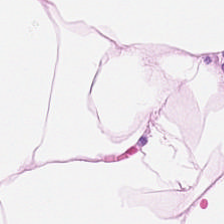Q: What does this patch show?
A: This is adipose.
